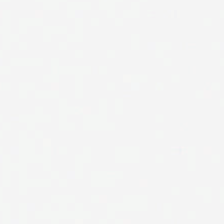Hematoxylin and eosin.
Classification — no tissue.
